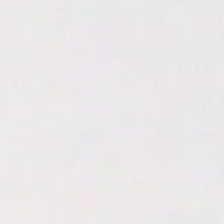Finding — background.
